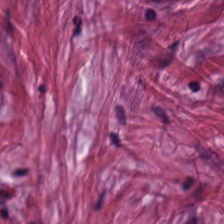H&E stain. Classification: cancer-associated stroma.
